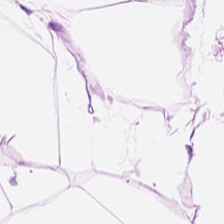Formalin-fixed paraffin-embedded section · brightfield · hematoxylin-and-eosin stained section — Tissue class: adipocytes.
